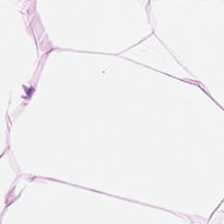H&E · 0.5 microns per pixel · brightfield microscopy.
The predominant tissue is fat tissue.
